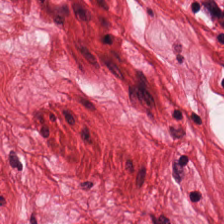H&E-stained tissue section — Tissue class: muscularis.
